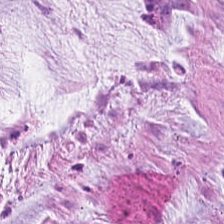H&E stain.
Predominantly extracellular mucin.
